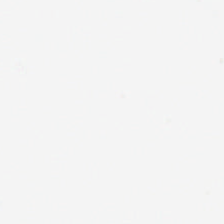224×224 px tile; 0.5 µm/px; H&E stain. Q: Classify this patch.
A: It is empty background.
